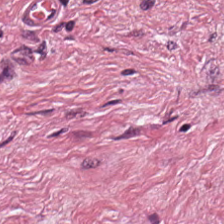Stain: hematoxylin-and-eosin stained section.
Tile size: 224×224 pixel tile.
Predominant tissue: desmoplastic stroma.
